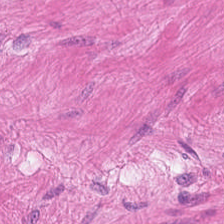H&E-stained tissue section.
Q: Identify the tissue.
A: It is muscularis.
